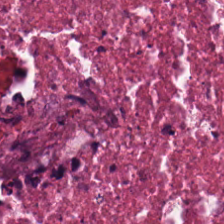224×224 px patch; H&E.
Tissue class: necrotic debris.
